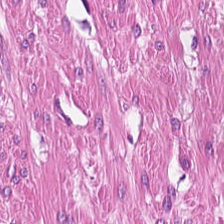0.5 microns per pixel; H&E stain — Predominant tissue — muscularis.
